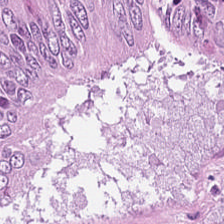The predominant tissue is colorectal adenocarcinoma.
